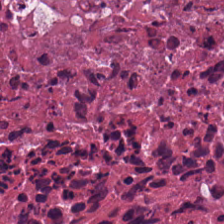Hematoxylin-and-eosin stained section. Predominantly necrotic debris.
